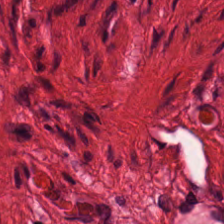Hematoxylin and eosin.
Tissue class: smooth-muscle tissue.
